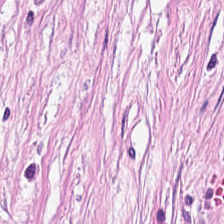Stain: H&E.
Tissue type: cancer-associated stroma.
